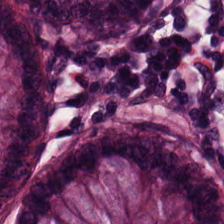Stain: hematoxylin-and-eosin stained section.
Tissue: non-neoplastic colon mucosa.
